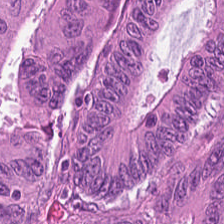Q: What is the predominant tissue type?
A: This is colorectal adenocarcinoma epithelium.
